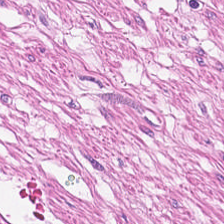Stain: hematoxylin-and-eosin stained section.
Acquisition: whole-slide-image patch.
Classification: muscularis.
